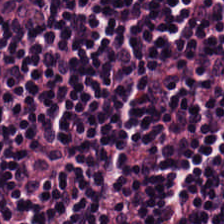H&E-stained tissue section.
Lymphocyte aggregate.
